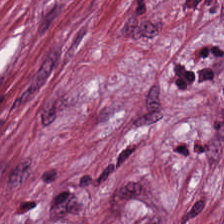Brightfield microscopy · hematoxylin-and-eosin stained section — The predominant tissue is tumor-associated stroma.
